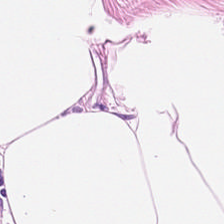Stain: H&E-stained tissue section.
Tissue class: fat tissue.
